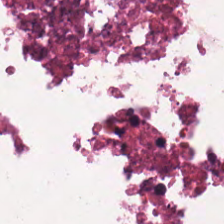Hematoxylin-and-eosin stained section · brightfield — Predominantly necrotic debris.
